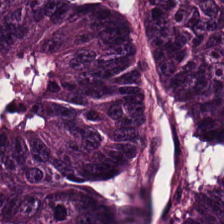H&E patch showing malignant epithelium.
